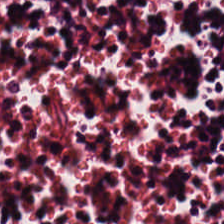224×224 px patch. Hematoxylin-and-eosin stained section. FFPE. Tissue type: lymphoid infiltrate.
